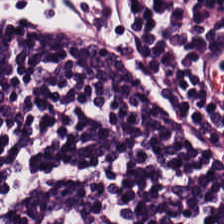H&E stain. Lymphocytes.
